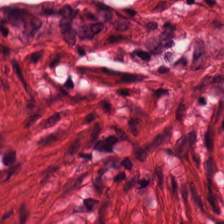Hematoxylin-and-eosin stained section — Predominant tissue: smooth-muscle tissue.
